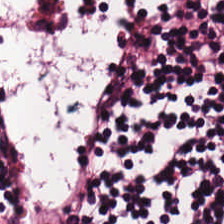Hematoxylin and eosin. The tissue here is lymphoid infiltrate.
